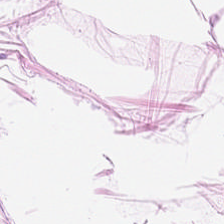Predominantly adipose.
